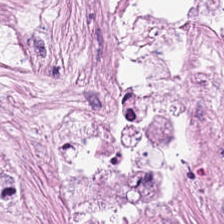0.5 microns per pixel; H&E stain.
This patch shows tumor stroma.
